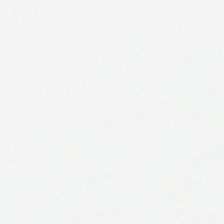H&E — Classification — no tissue.
